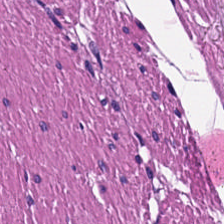H&E. 224×224 px patch — This patch shows smooth-muscle tissue.
